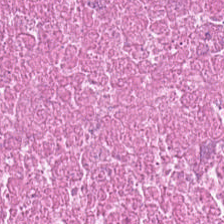0.5 microns per pixel. Hematoxylin-and-eosin stained section — The tissue here is debris.
